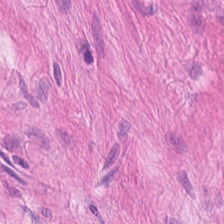224×224 px patch; hematoxylin and eosin. Predominantly smooth-muscle tissue.
